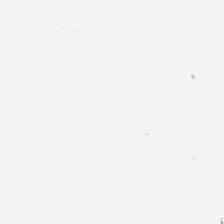Field content: background.
